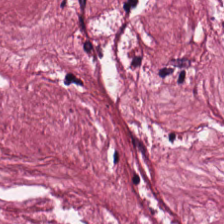0.5 µm/px. FFPE tissue section. Hematoxylin and eosin. Tissue: desmoplastic stroma.
